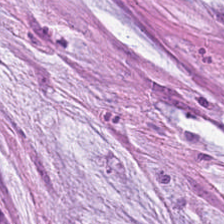Hematoxylin and eosin. The predominant tissue is mucus.
